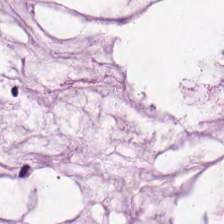Hematoxylin-and-eosin stained section.
Tissue type: mucus.
